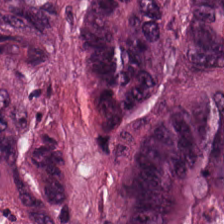Hematoxylin-and-eosin stained section. 224×224 px patch. Brightfield. Impression — colorectal adenocarcinoma epithelium.
